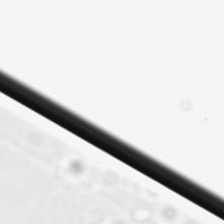Hematoxylin-and-eosin stained section. 224×224 pixel tile.
Content — background.
